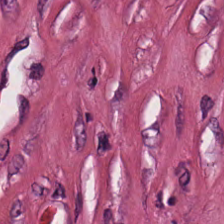WSI patch; H&E-stained tissue section; 224×224 px tile. Predominantly cancer-associated stroma.
